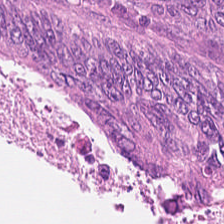Stain: hematoxylin and eosin.
Tissue type: colorectal adenocarcinoma.
